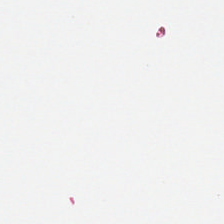Hematoxylin-and-eosin stained section · 224×224 px patch — This field is background (no tissue).
